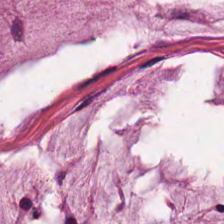Stain: H&E stain.
Resolution: 20× equivalent magnification.
Tissue type: mucus.
